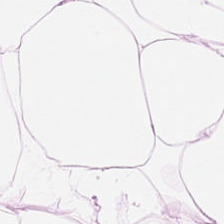Brightfield microscopy; hematoxylin and eosin. The predominant tissue is adipose.
